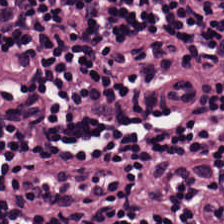H&E-stained tissue section · 0.5 microns per pixel.
Predominant tissue: lymphocytic infiltrate.
